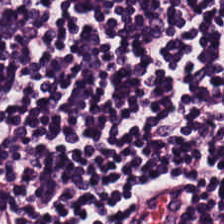Brightfield microscopy; 0.5 µm per pixel; hematoxylin and eosin.
The predominant tissue is lymphoid infiltrate.
